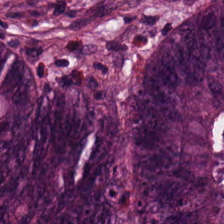Stain: H&E stain.
Classification: colorectal adenocarcinoma epithelium.
